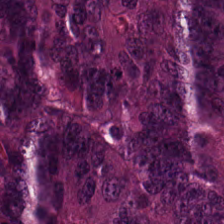Brightfield; H&E stain.
Q: What is the predominant tissue type?
A: Adenocarcinoma.
